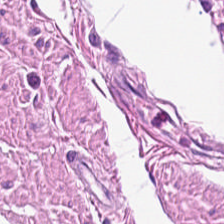H&E patch showing muscularis.
